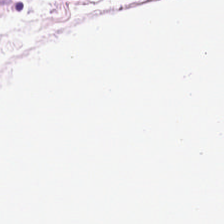The tissue type is adipose.
